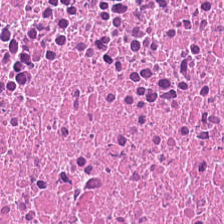H&E-stained tissue section — Tissue: debris.
